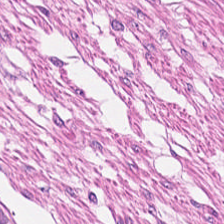FFPE tissue section. 20× equivalent magnification. H&E — Showing smooth-muscle tissue.
